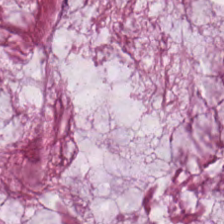Hematoxylin and eosin. 0.5 µm/px. This patch shows mucin.
